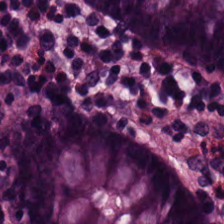H&E stain.
Tissue type — normal colonic mucosa.
